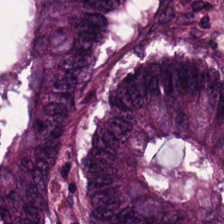Hematoxylin-and-eosin stained section — Predominant tissue = colorectal adenocarcinoma epithelium.
